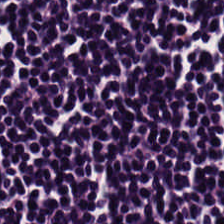H&E-stained tissue section — This field is lymphocyte aggregate.
